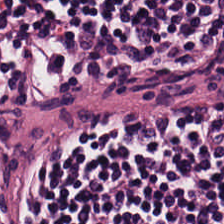Classification — lymphocytic infiltrate.
